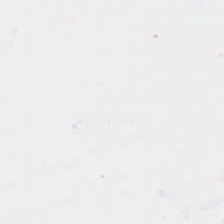Hematoxylin and eosin.
Empty field — background.
